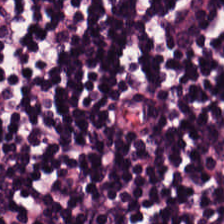The predominant tissue is lymphocytes.
